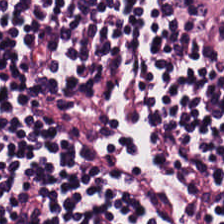H&E-stained tissue section — Q: What tissue is shown?
A: Lymphocyte aggregate.
